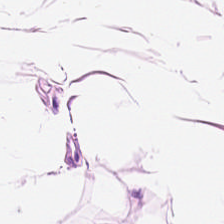H&E-stained tissue section · whole-slide-image patch · 224×224 px tile — Classification: adipose tissue.
